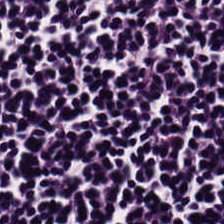224×224 px patch. H&E-stained tissue section. Showing lymphocytes.
